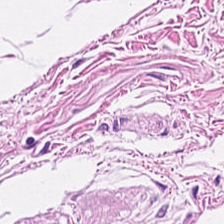H&E — The predominant tissue is smooth-muscle tissue.
